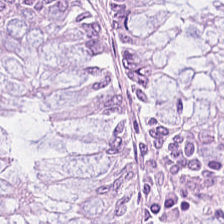H&E. Predominantly normal colonic mucosa.
